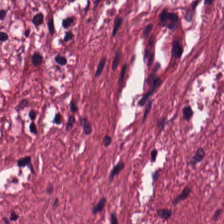Stain: H&E-stained tissue section.
Classification: tumor-associated stroma.
